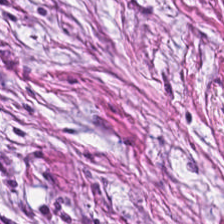Stain: H&E-stained tissue section.
Acquisition: brightfield.
Tile size: 224×224 px tile.
Tissue type: desmoplastic stroma.
